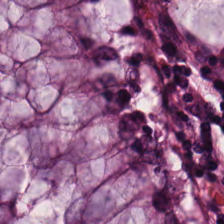FFPE tissue section · H&E — Predominantly normal colonic mucosa.
